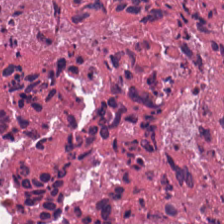H&E stain — Finding — debris.
